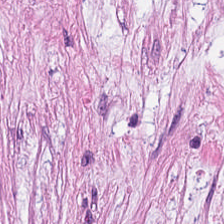H&E stain · brightfield microscopy — The tissue here is tumor stroma.
